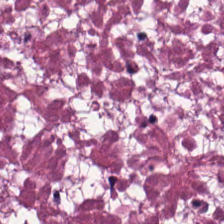H&E · brightfield microscopy — This patch shows cellular debris.
